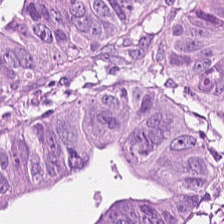Hematoxylin and eosin. This field is colorectal adenocarcinoma epithelium.
